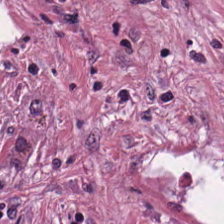224×224 px tile. WSI patch. Hematoxylin-and-eosin stained section — {"tissue_type": "tumor-associated stroma"}
